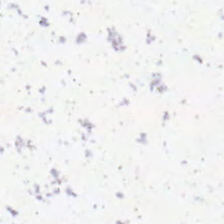224×224 pixel tile · brightfield · H&E-stained tissue section.
Background — no tissue in this field.
